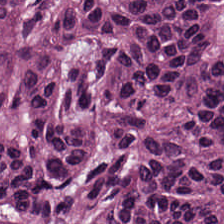Stain: hematoxylin and eosin.
Tile size: 224×224 px patch.
Predominant tissue: colorectal adenocarcinoma.
